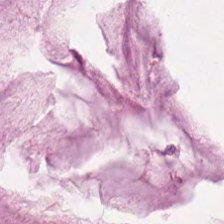H&E stain — The predominant tissue is mucus.
